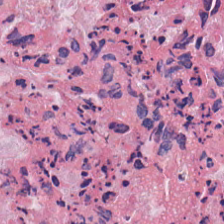Stain: H&E-stained tissue section.
Tissue type: necrotic debris.
